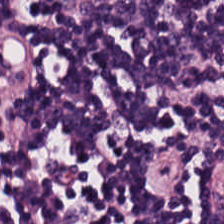0.5 µm/px; H&E.
Finding → lymphocyte aggregate.
